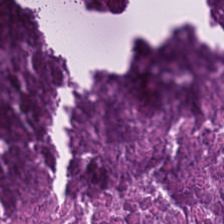Hematoxylin-and-eosin stained section.
{"tissue_type": "debris"}
